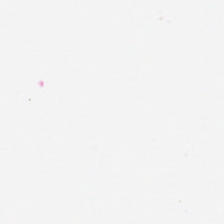WSI patch; H&E-stained tissue section; 0.5 µm per pixel.
Histology → background.
